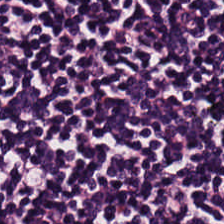Hematoxylin-and-eosin stained section. Tissue class = lymphocytic infiltrate.
